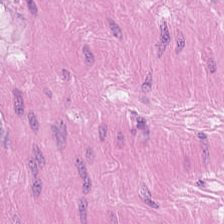H&E patch showing muscularis.
